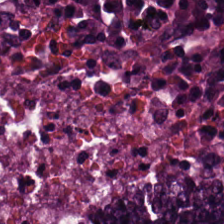H&E-stained tissue section. {"tissue_type": "adenocarcinoma"}
